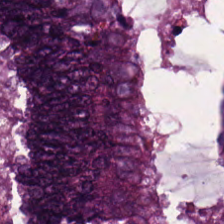Hematoxylin-and-eosin stained section. Predominantly colorectal adenocarcinoma epithelium.
